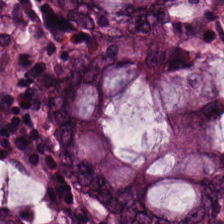H&E-stained tissue section. FFPE.
Showing benign colonic mucosa.
